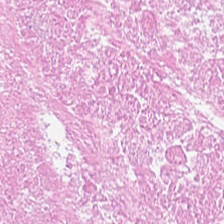Formalin-fixed paraffin-embedded section. H&E stain.
The tissue here is cellular debris.
